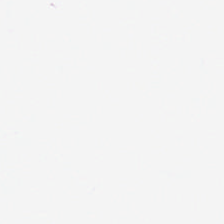Brightfield. Hematoxylin-and-eosin stained section. 224×224 pixel tile.
No tissue present; background only.
